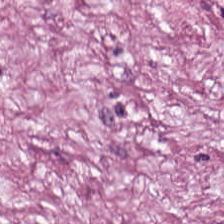H&E-stained tissue section; formalin-fixed paraffin-embedded section.
The tissue here is desmoplastic stroma.
